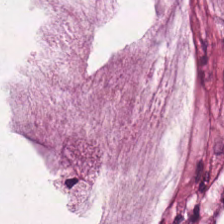Hematoxylin-and-eosin stained section. The predominant tissue is extracellular mucin.
